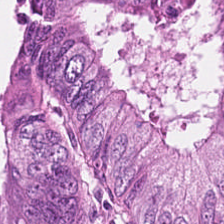H&E stain — Q: What does this patch show?
A: Colorectal adenocarcinoma epithelium.
